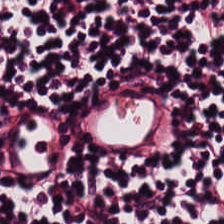H&E stain — Lymphocyte aggregate.
